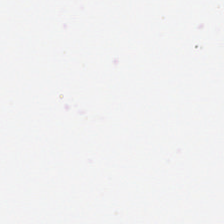{"content": "empty background"}
